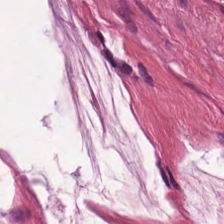Hematoxylin and eosin.
Mucus.
